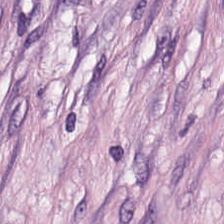H&E stain. 0.5 microns per pixel — Predominantly desmoplastic stroma.
